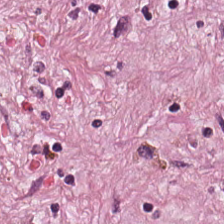Hematoxylin and eosin — Q: Identify the tissue.
A: The field shows desmoplastic stroma.
